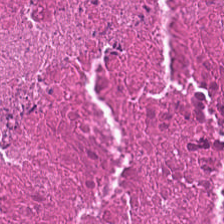The tissue type is debris.
